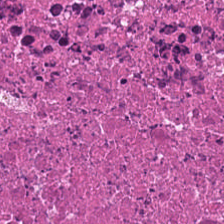Stain: H&E stain.
Classification: necrotic debris.
